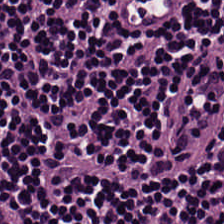Finding → lymphocytes.
